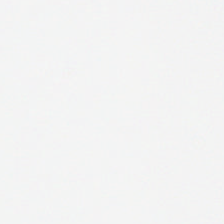Hematoxylin-and-eosin stained section. Empty field — empty background.
